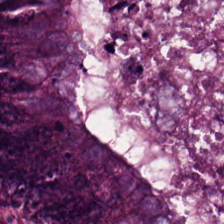Stain: H&E-stained tissue section.
Classification: malignant epithelium.
